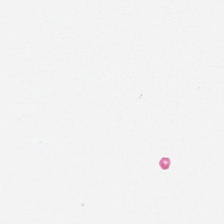Content: background (no tissue).
